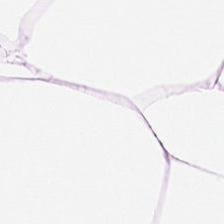Stain: H&E-stained tissue section.
Resolution: 0.5 microns per pixel.
Classification: adipocytes.
